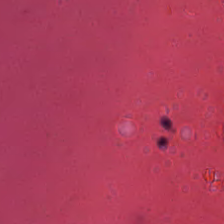Stain: H&E-stained tissue section.
Acquisition: brightfield microscopy.
Classification: debris.
